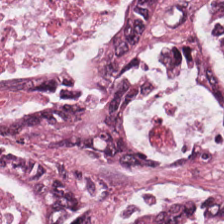H&E — This field is tumor epithelium.
